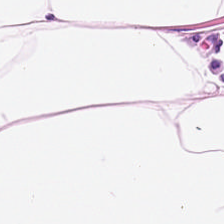Hematoxylin and eosin. Tissue — adipocytes.
